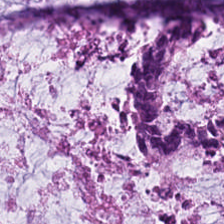The tissue type is extracellular mucin.
